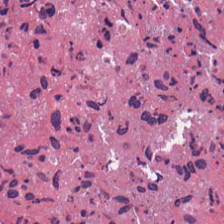Stain: H&E.
Preparation: formalin-fixed paraffin-embedded section.
Resolution: 0.5 microns per pixel.
Tissue: necrotic debris.
